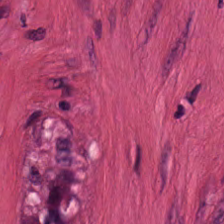Stain: hematoxylin and eosin.
Acquisition: brightfield.
Preparation: FFPE.
Tissue type: smooth-muscle tissue.
